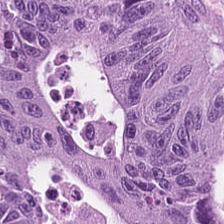Q: Classify this patch.
A: This is tumor epithelium.
